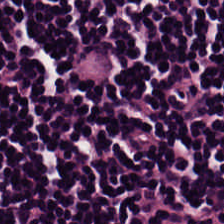H&E-stained tissue section · formalin-fixed paraffin-embedded section. Predominantly lymphocytic infiltrate.
